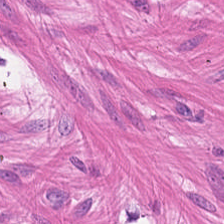Stain: H&E stain.
Tissue type: smooth muscle.
